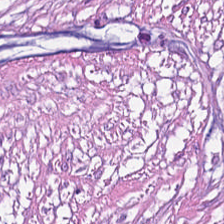Stain: hematoxylin and eosin.
Predominant tissue: desmoplastic stroma.
